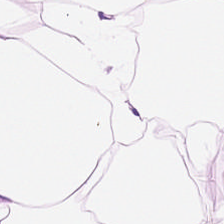Hematoxylin and eosin — This patch shows adipocytes.
